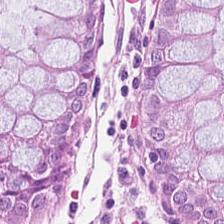Hematoxylin and eosin — Tissue class: benign colonic mucosa.
